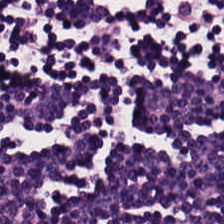H&E patch showing lymphocytic infiltrate.
